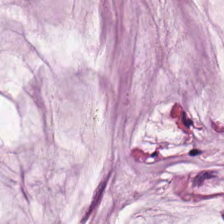Hematoxylin and eosin.
This patch shows mucus.
